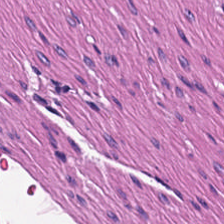Predominant tissue: smooth muscle.
